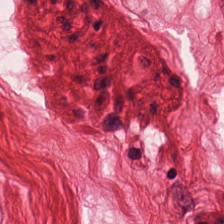Stain: H&E stain.
Predominant tissue: smooth-muscle tissue.
